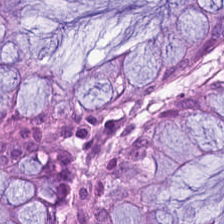Hematoxylin-and-eosin section: normal colonic mucosa.
